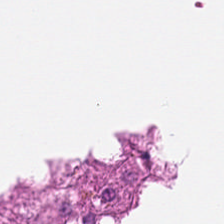Content — background (no tissue).
